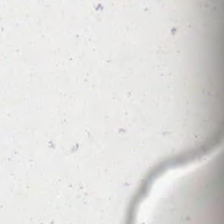H&E stain · 0.5 microns per pixel.
Q: What is shown here?
A: This is empty background.
